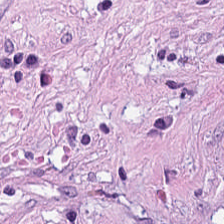H&E stain.
Tumor stroma.
